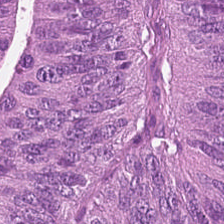Hematoxylin-and-eosin stained section — Finding → colorectal adenocarcinoma epithelium.
